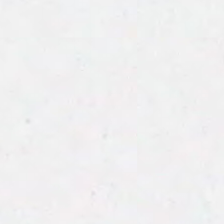H&E-stained tissue section.
Histology → no tissue.
